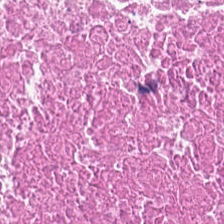H&E stain · WSI patch · 0.5 µm per pixel. The tissue class is debris.
